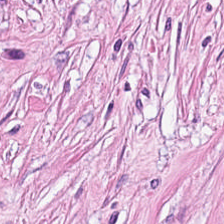Hematoxylin-and-eosin stained section — Predominantly tumor stroma.
